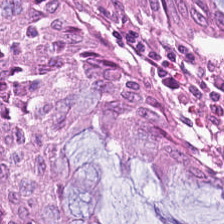H&E stain — Q: What is shown in this field?
A: It is normal colon mucosa.
